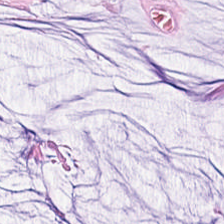224×224 px tile; whole-slide-image patch; hematoxylin and eosin.
Q: Classify this patch.
A: Mucus.
